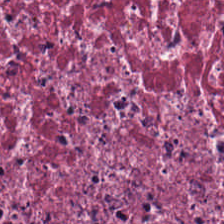Hematoxylin-and-eosin stained section.
Q: What tissue is shown?
A: The field shows desmoplastic stroma.
